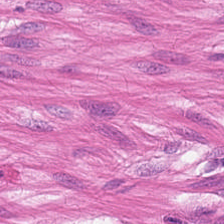Whole-slide-image patch · H&E stain · 0.5 µm/px. Tissue class — smooth-muscle tissue.
